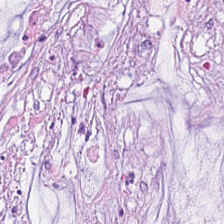Formalin-fixed paraffin-embedded section. H&E-stained tissue section. This patch shows mucin.
